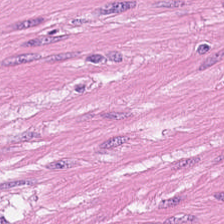Formalin-fixed paraffin-embedded section · H&E stain.
Q: What type of tissue is this?
A: Muscularis.
